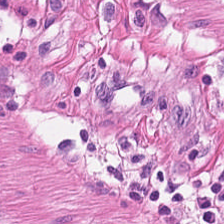224×224 px tile. Hematoxylin and eosin. Muscularis.
